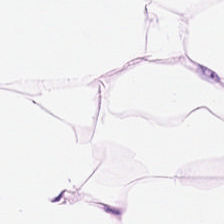H&E-stained tissue section. Brightfield — Predominantly fat tissue.
